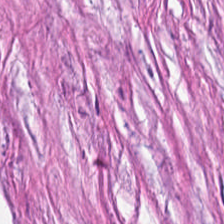Stain: H&E-stained tissue section.
Preparation: FFPE tissue section.
Acquisition: brightfield.
Tissue type: cancer-associated stroma.
